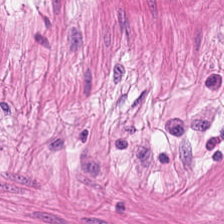FFPE tissue section · H&E — Predominantly smooth muscle.
